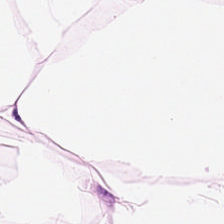0.5 µm per pixel. Hematoxylin and eosin — Adipocytes.
